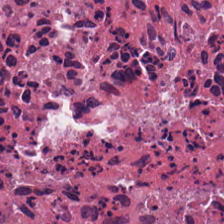The predominant tissue is debris.
